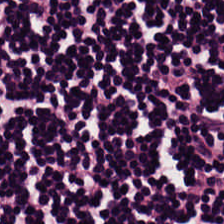Histology → lymphocyte aggregate.
